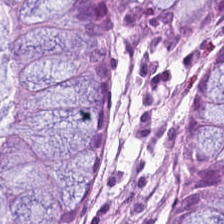H&E — The tissue here is normal colonic mucosa.
